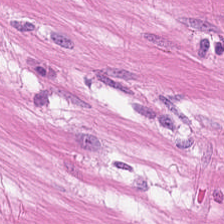Hematoxylin and eosin; brightfield. Showing smooth muscle.
